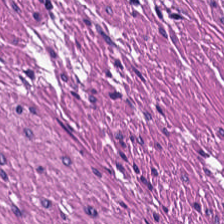Stain: hematoxylin and eosin.
Tissue class: smooth-muscle tissue.
